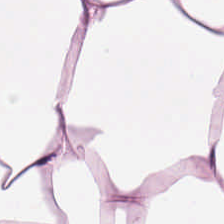H&E-stained tissue section — Tissue type = adipose.
